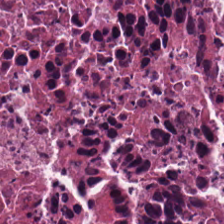Stain: H&E stain.
Resolution: 0.5 µm per pixel.
Tissue type: debris.
